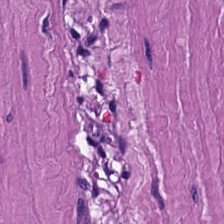Finding — muscularis.
